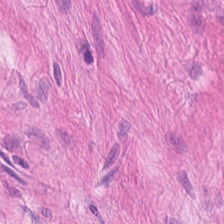FFPE. H&E — Predominantly smooth-muscle tissue.
